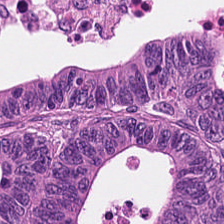Stain: H&E.
Preparation: FFPE.
Tissue type: adenocarcinoma.
